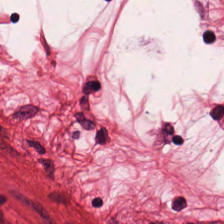H&E — Predominantly smooth-muscle tissue.
